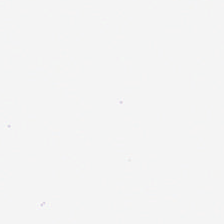Field content = background.
